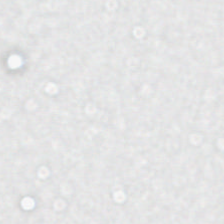Q: What is shown in this field?
A: The field shows no tissue.
